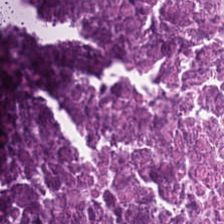Stain: H&E.
Classification: debris.
